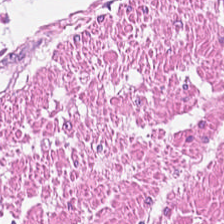{"tissue_type": "smooth-muscle tissue"}
